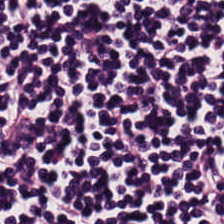Hematoxylin and eosin.
Histology — lymphoid infiltrate.
